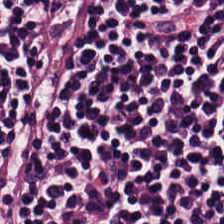H&E stain — Showing lymphocytic infiltrate.
